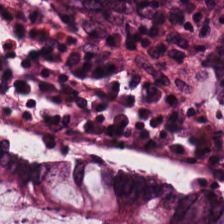Hematoxylin-and-eosin stained section. Non-neoplastic colon mucosa.
